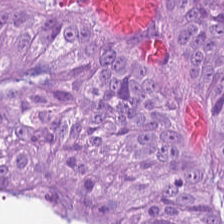Stain: hematoxylin-and-eosin stained section.
Tissue class: colorectal adenocarcinoma.
